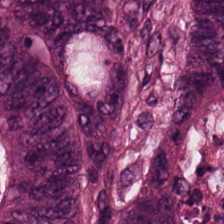0.5 µm/px · hematoxylin and eosin — Finding — colorectal adenocarcinoma.
